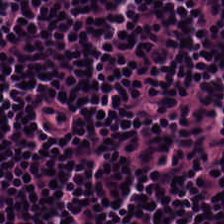Hematoxylin-and-eosin stained section — Showing lymphocytic infiltrate.
